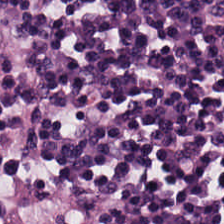Hematoxylin-and-eosin stained section. FFPE. 224×224 px tile. Tissue — lymphocytic infiltrate.
